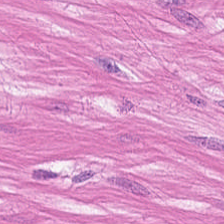Hematoxylin and eosin. 224×224 px patch. Whole-slide-image patch — Showing smooth-muscle tissue.
